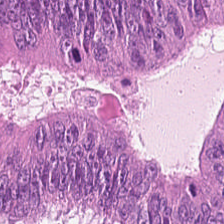Stain: H&E.
Tissue type: colorectal adenocarcinoma.
